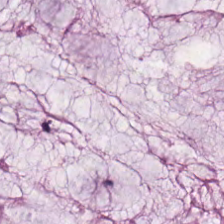H&E-stained section; the field shows mucus.
